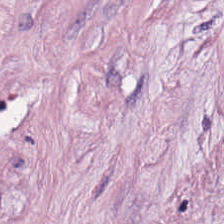Hematoxylin-and-eosin stained section — Classification — cancer-associated stroma.
